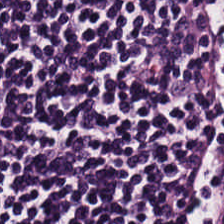Hematoxylin and eosin.
The tissue class is lymphoid infiltrate.
